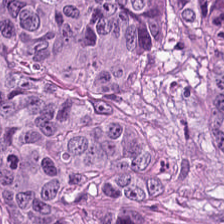Predominant tissue: tumor epithelium.
